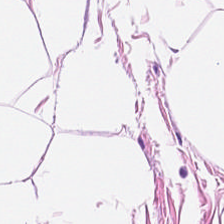224×224 px patch; hematoxylin and eosin; FFPE. Predominantly fat tissue.
